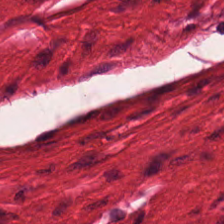Hematoxylin-and-eosin section: smooth muscle.
